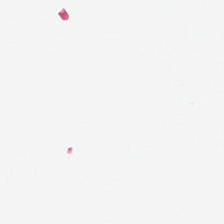H&E. Q: What does this patch show?
A: Background (no tissue).
